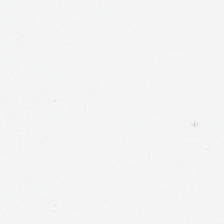0.5 µm per pixel. Hematoxylin-and-eosin stained section — Q: What does this patch show?
A: This is no tissue.
